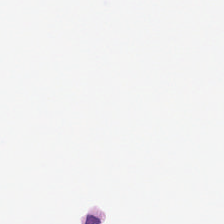FFPE · brightfield · hematoxylin and eosin — Q: What is shown in this field?
A: The field shows background.
